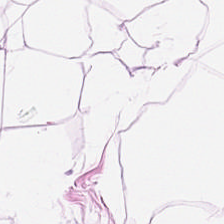H&E — The classification is adipose.
